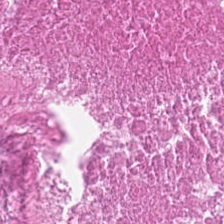Tissue class — necrotic debris.
